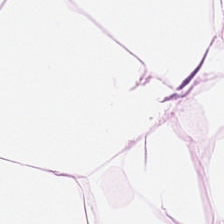H&E-stained tissue section. Brightfield microscopy — Showing adipocytes.
